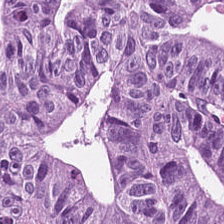H&E stain.
Showing colorectal adenocarcinoma.
